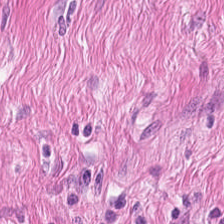Brightfield microscopy; hematoxylin and eosin — Showing smooth muscle.
